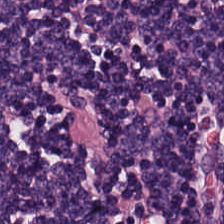Brightfield · hematoxylin-and-eosin stained section — Predominantly lymphocytes.
